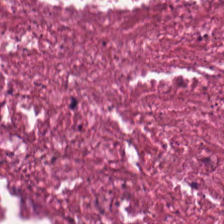WSI patch · 0.5 µm/px · H&E.
Finding — debris.
